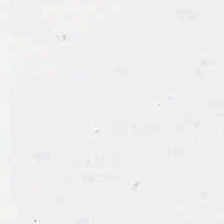Hematoxylin-and-eosin stained section. This patch shows background.
